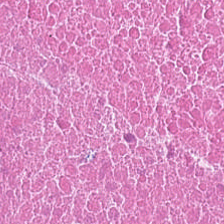Hematoxylin and eosin. Formalin-fixed paraffin-embedded section — Necrotic debris.
